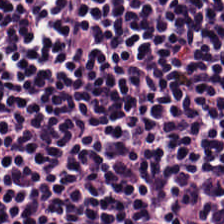Hematoxylin-and-eosin section: lymphocytes.
